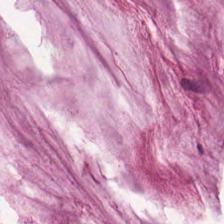Hematoxylin and eosin.
Q: Classify this patch.
A: Extracellular mucin.
